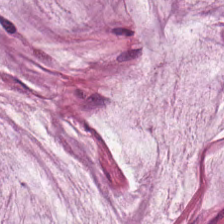Hematoxylin and eosin · 0.5 µm/px.
Predominantly mucin.
